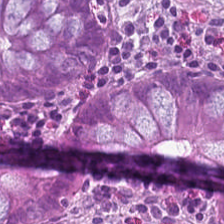Impression — non-neoplastic colon mucosa.
